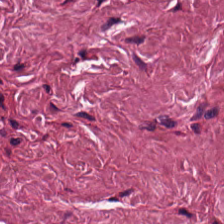Hematoxylin and eosin.
Predominant tissue: cancer-associated stroma.
